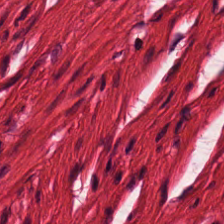Hematoxylin and eosin — Classification = smooth muscle.
